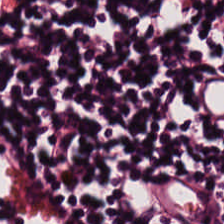Stain: hematoxylin and eosin.
Acquisition: whole-slide-image patch.
Tissue class: lymphocyte aggregate.
